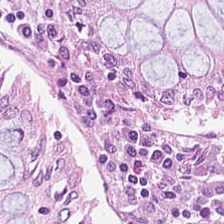Hematoxylin and eosin; 20× equivalent magnification.
Normal colonic mucosa.
